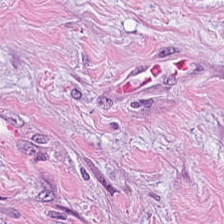H&E stain — Predominantly cancer-associated stroma.
